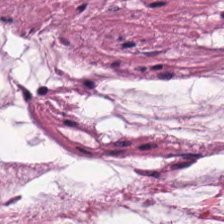FFPE tissue section. H&E-stained tissue section.
Q: What does this patch show?
A: Mucin.
